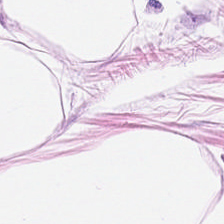{"tissue_type": "fat tissue"}
